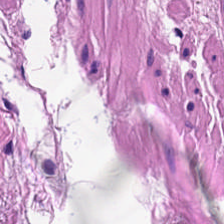Hematoxylin and eosin · FFPE tissue section · 0.5 µm per pixel. This field is smooth-muscle tissue.
